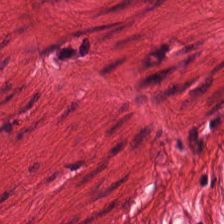Hematoxylin and eosin — Finding — smooth muscle.
